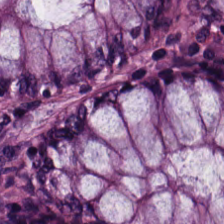0.5 µm per pixel. Hematoxylin-and-eosin stained section. Tissue type = normal colonic mucosa.
